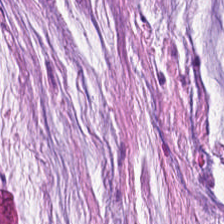H&E stain — Tissue class = extracellular mucin.
